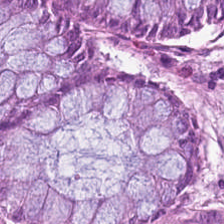Q: What does this patch show?
A: This is benign colonic mucosa.
